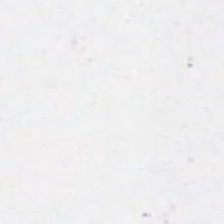{"content": "background (no tissue)"}
